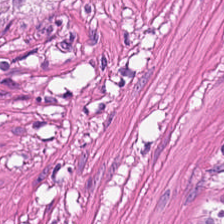Whole-slide-image patch. Hematoxylin-and-eosin stained section. This field is smooth muscle.
